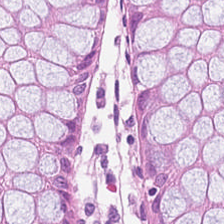Stain: H&E stain.
Preparation: FFPE.
Tissue: benign colonic mucosa.
